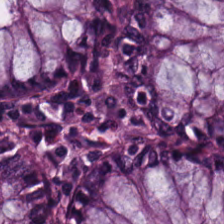H&E patch showing benign colonic mucosa.
